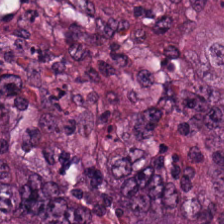H&E stain; 224×224 px patch — This patch shows tumor epithelium.
